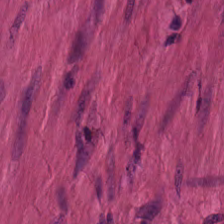H&E stain.
Predominantly smooth muscle.
